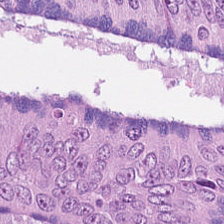H&E patch showing tumor epithelium.
